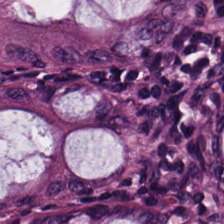Hematoxylin and eosin. Q: What tissue is shown?
A: The field shows normal colon mucosa.
